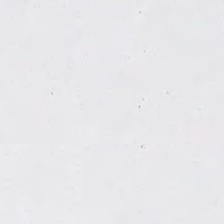H&E-stained tissue section. Q: What does this patch show?
A: This is empty background.
